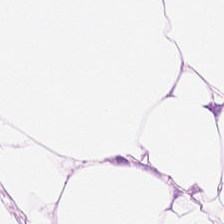Fat tissue.
